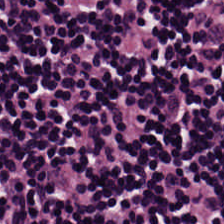Hematoxylin-and-eosin stained section. Impression — lymphoid infiltrate.
